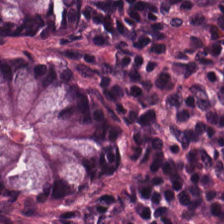Hematoxylin-and-eosin stained section — The tissue here is normal colonic mucosa.
